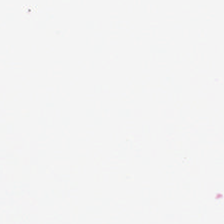20× equivalent magnification · FFPE · H&E-stained tissue section — Q: What is shown here?
A: Empty background.
